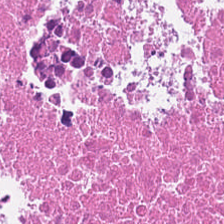20× equivalent magnification. H&E stain.
The predominant tissue is debris.
